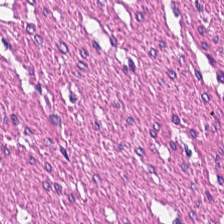Stain: H&E.
Classification: smooth muscle.
